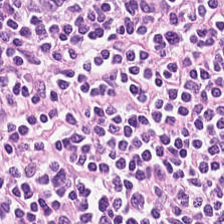Impression — lymphocytes.
